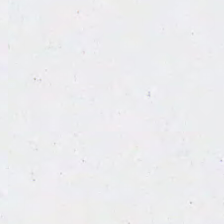H&E-stained tissue section. Background.
